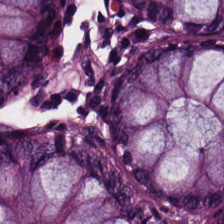224×224 pixel tile. 0.5 microns per pixel. Hematoxylin and eosin. Impression → non-neoplastic colon mucosa.
